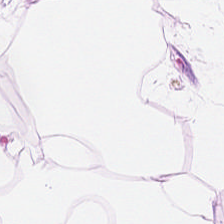H&E stain · 224×224 pixel tile. This patch shows adipose.
